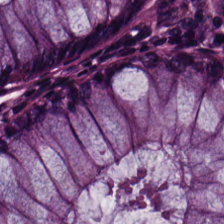Stain: H&E-stained tissue section.
Classification: normal colonic mucosa.
